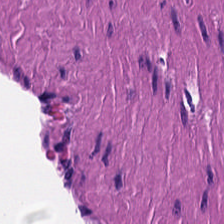Predominantly muscularis.
